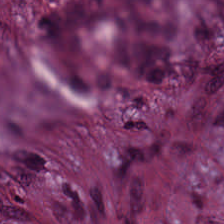Predominant tissue: tumor-associated stroma.
